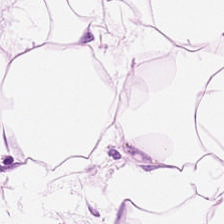Hematoxylin-and-eosin stained section. 0.5 µm per pixel. The classification is adipose tissue.
